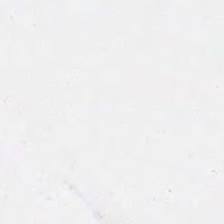H&E stain. This patch shows no tissue.
